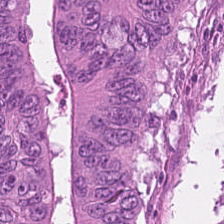Hematoxylin and eosin.
Colorectal adenocarcinoma.
